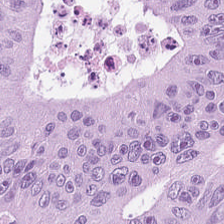Hematoxylin-and-eosin stained section. Predominantly tumor epithelium.
